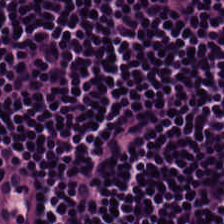Hematoxylin-and-eosin stained section; 0.5 µm/px.
Finding — lymphocyte aggregate.
